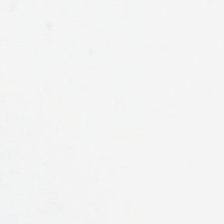Hematoxylin and eosin. {"content": "no tissue"}
